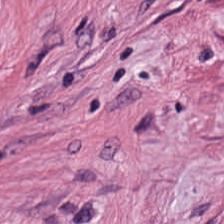Tissue type — desmoplastic stroma.
